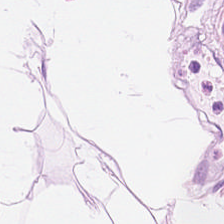H&E · 224×224 px tile. Showing adipocytes.
